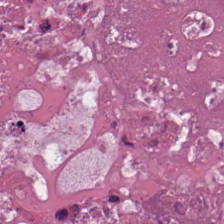H&E-stained tissue section · formalin-fixed paraffin-embedded section · 224×224 pixel tile.
Classification: cellular debris.
